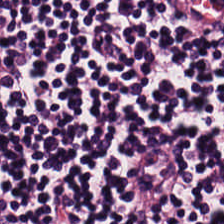Q: What tissue is shown?
A: Lymphocytes.
